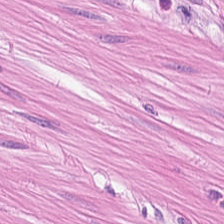20× equivalent magnification. Hematoxylin-and-eosin stained section. Q: What is shown here?
A: Smooth-muscle tissue.
